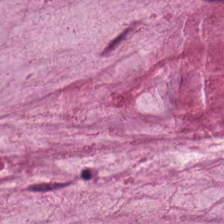H&E stain — The tissue here is mucin.
